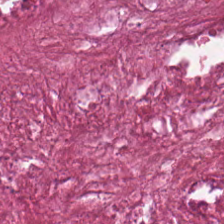Q: Identify the tissue.
A: It is debris.
